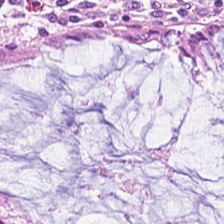Hematoxylin-and-eosin stained section — Predominant tissue — normal colonic mucosa.
